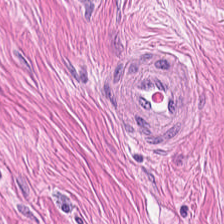H&E-stained tissue section.
The tissue here is muscularis.
